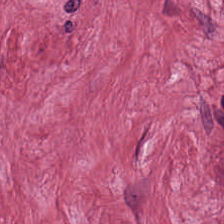FFPE. Hematoxylin and eosin — The predominant tissue is tumor stroma.
